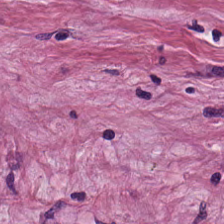Brightfield microscopy · hematoxylin-and-eosin stained section · 0.5 microns per pixel.
Predominant tissue: tumor stroma.
